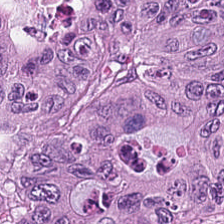Brightfield microscopy · hematoxylin-and-eosin stained section.
Tissue type — tumor epithelium.
